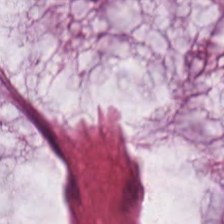Q: What does this patch show?
A: Mucus.
